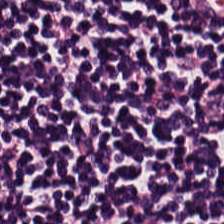0.5 microns per pixel · hematoxylin-and-eosin stained section.
The tissue is lymphocytic infiltrate.
